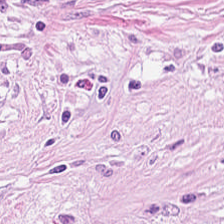Q: What is shown in this field?
A: The field shows tumor-associated stroma.
